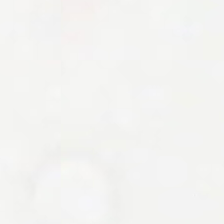224×224 px tile · H&E stain. Classification = background (no tissue).
